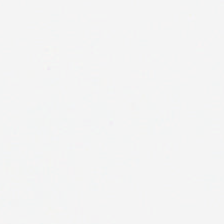H&E stain.
Q: What does this patch show?
A: It is no tissue.
